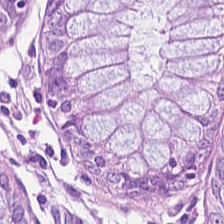H&E.
Predominant tissue: benign colonic mucosa.
